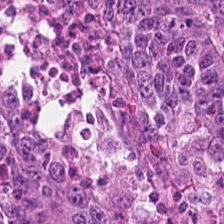H&E stain. Impression — tumor epithelium.
